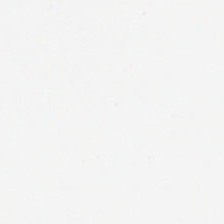H&E stain — This patch shows background (no tissue).
